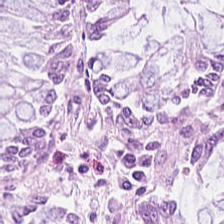0.5 microns per pixel; hematoxylin-and-eosin stained section.
The predominant tissue is normal colonic mucosa.
